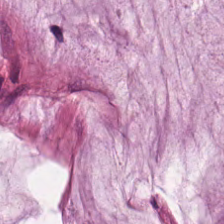Hematoxylin and eosin · 224×224 pixel tile. Mucus.
